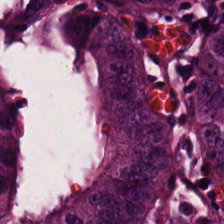Hematoxylin and eosin.
{"tissue_type": "colorectal adenocarcinoma epithelium"}
